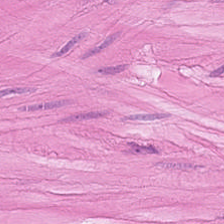20× equivalent magnification; H&E stain — Q: Classify this patch.
A: It is smooth muscle.
